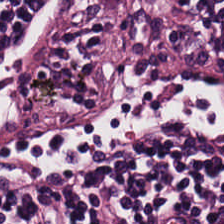Hematoxylin-and-eosin stained section; formalin-fixed paraffin-embedded section — {"tissue_type": "lymphoid infiltrate"}
